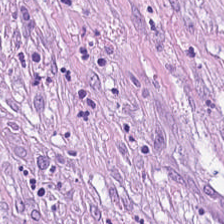224×224 px patch. Brightfield. Hematoxylin and eosin. The tissue type is desmoplastic stroma.
